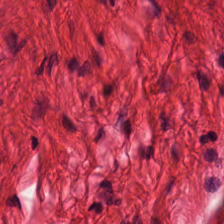The classification is muscularis.
